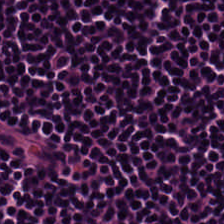20× equivalent magnification. Brightfield microscopy. Hematoxylin-and-eosin stained section. Finding — lymphocyte aggregate.
